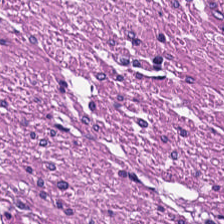H&E. Tissue type: muscularis.
